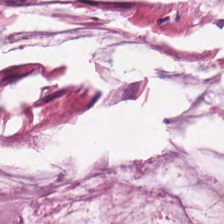Hematoxylin-and-eosin stained section. 20× equivalent magnification. Tissue class: mucus.
